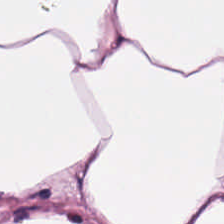Hematoxylin and eosin; formalin-fixed paraffin-embedded section — The predominant tissue is adipose.
